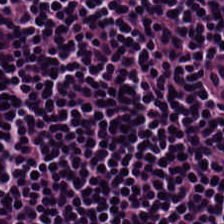Hematoxylin and eosin · whole-slide-image patch. Q: What tissue is shown?
A: The field shows lymphocytic infiltrate.
